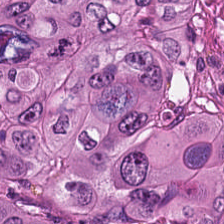Formalin-fixed paraffin-embedded section. H&E-stained tissue section. Classification — colorectal adenocarcinoma.
